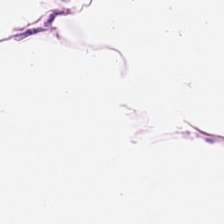H&E stain. The predominant tissue is adipose.
